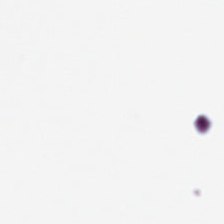Q: What is shown in this field?
A: This is background (no tissue).
